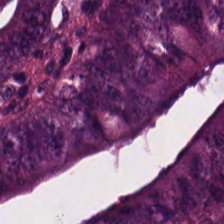Impression → adenocarcinoma.
